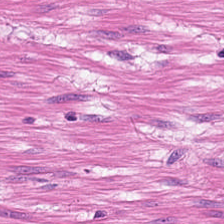Showing muscularis.
